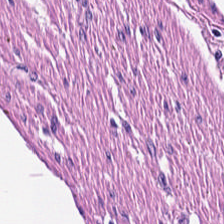H&E stain.
Q: What does this patch show?
A: Smooth muscle.
